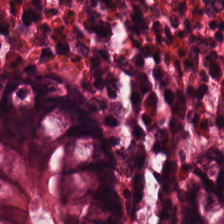Tissue = benign colonic mucosa.
